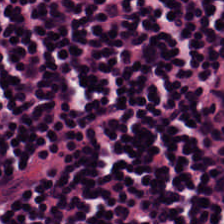This field is lymphocytes.
